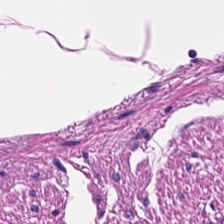Stain: H&E stain.
Acquisition: whole-slide-image patch.
Predominant tissue: smooth muscle.
